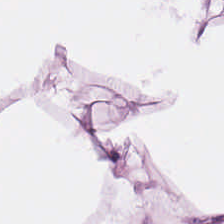The tissue class is fat tissue.
